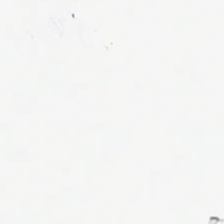Hematoxylin-and-eosin stained section; FFPE tissue section.
No tissue present; background only.
